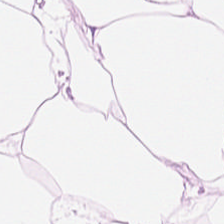Hematoxylin-and-eosin stained section.
Predominant tissue = adipose.
